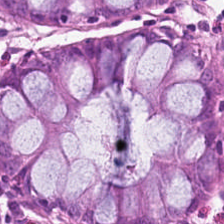FFPE; hematoxylin-and-eosin stained section; 0.5 µm/px.
Q: What tissue type is shown here?
A: The field shows benign colonic mucosa.
